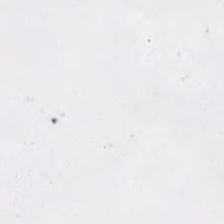Stain: hematoxylin and eosin.
Field content: no tissue.
